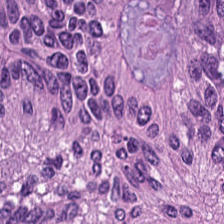H&E. Classification — colorectal adenocarcinoma.
